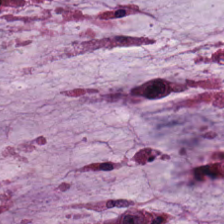H&E stain · 224×224 pixel tile · FFPE tissue section — Extracellular mucin.
